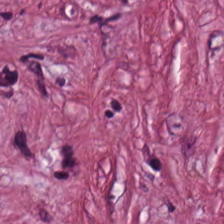Hematoxylin and eosin — Tissue class: desmoplastic stroma.
